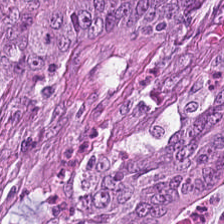Formalin-fixed paraffin-embedded section. Hematoxylin-and-eosin stained section.
This patch shows adenocarcinoma.
